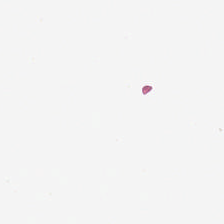Brightfield; hematoxylin and eosin; 224×224 px tile. Finding → no tissue.
